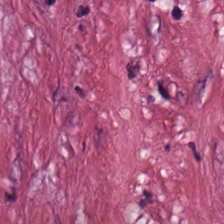H&E-stained tissue section · 224×224 px tile · 0.5 µm/px. This field is tumor-associated stroma.
